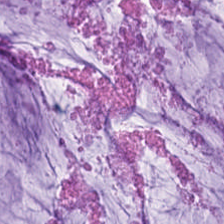Stain: H&E-stained tissue section.
Acquisition: brightfield microscopy.
Predominant tissue: mucin.
